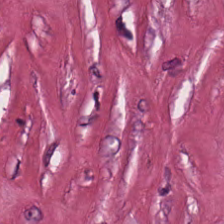WSI patch; 0.5 microns per pixel; hematoxylin-and-eosin stained section — This patch shows tumor-associated stroma.
